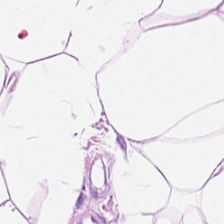H&E stain — Q: Identify the tissue.
A: The field shows adipose.
